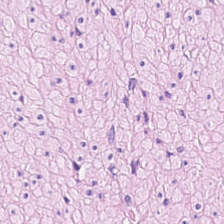H&E-stained tissue section. FFPE tissue section — Tissue class — muscularis.
